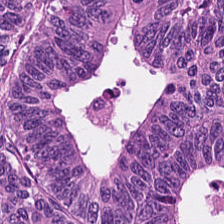Stain: H&E-stained tissue section.
Acquisition: WSI patch.
Tissue type: adenocarcinoma.
